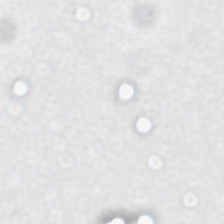Stain: H&E.
Field content: no tissue.
